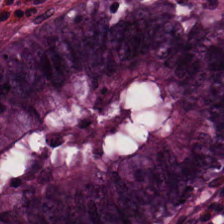224×224 px tile · hematoxylin and eosin — The classification is normal colonic mucosa.
